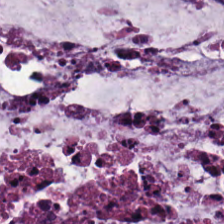20× equivalent magnification · hematoxylin and eosin — Mucin.
